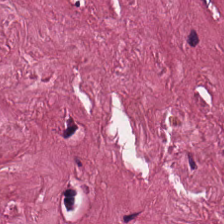Hematoxylin and eosin.
The predominant tissue is desmoplastic stroma.
